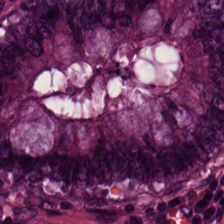H&E-stained tissue section. 224×224 px tile — Predominantly normal colonic mucosa.
